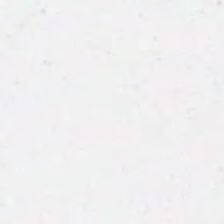Hematoxylin and eosin. 224×224 px tile. 0.5 microns per pixel.
Histology — background.
